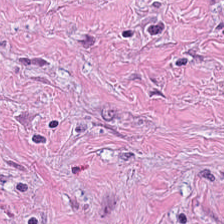H&E-stained tissue section.
This field is cancer-associated stroma.
